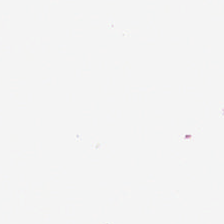Hematoxylin-and-eosin stained section. 224×224 px patch.
Content — no tissue.
